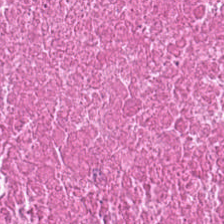The tissue is cellular debris.
